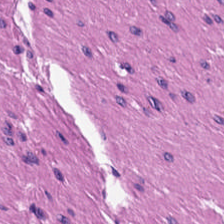Predominantly muscularis.
